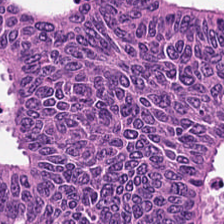This patch shows colorectal adenocarcinoma.
